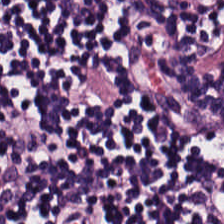FFPE. Hematoxylin-and-eosin stained section. Brightfield microscopy. Showing lymphocytes.
